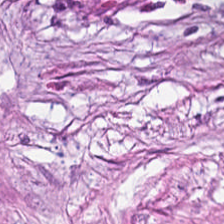H&E-stained section; the field shows cancer-associated stroma.
